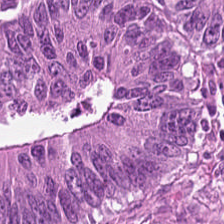Stain: hematoxylin and eosin.
Tissue class: colorectal adenocarcinoma.
